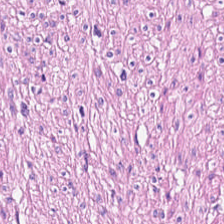Hematoxylin and eosin. The tissue here is muscularis.
